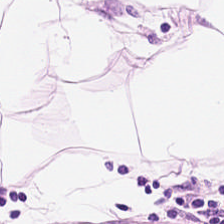Stain: H&E.
Resolution: 0.5 µm/px.
Acquisition: brightfield microscopy.
Classification: adipocytes.
